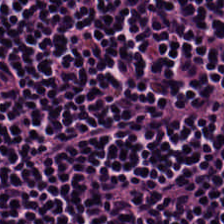Hematoxylin and eosin — Histology → lymphocytes.
